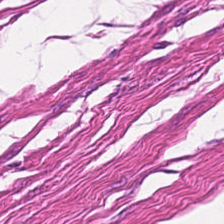FFPE tissue section; H&E-stained tissue section. Tissue class — smooth muscle.
